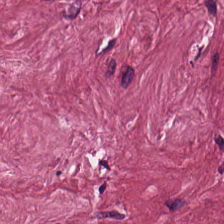Hematoxylin-and-eosin stained section. 224×224 px patch — This patch shows tumor stroma.
